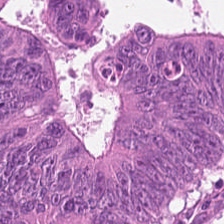20× equivalent magnification; H&E-stained tissue section; 224×224 pixel tile — This field is colorectal adenocarcinoma.
